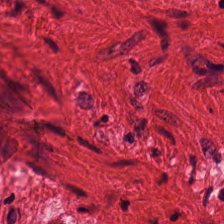Hematoxylin and eosin. Tissue type — muscularis.
